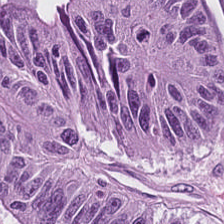H&E. Finding — adenocarcinoma.
